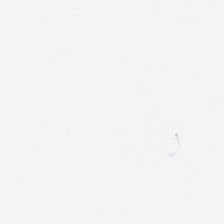H&E-stained tissue section.
Classification — empty background.
